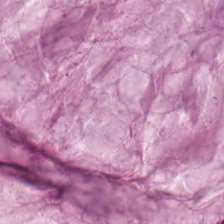This patch shows mucus.
